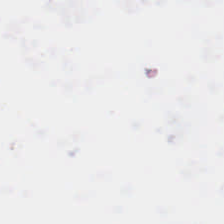No tissue present; background only.
